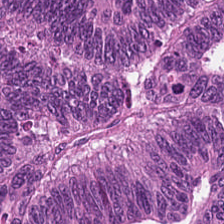H&E-stained tissue section.
Q: What tissue type is shown here?
A: This is adenocarcinoma.
